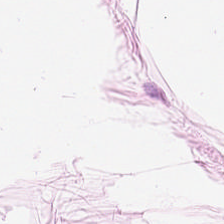H&E stain — {"tissue_type": "adipose"}
